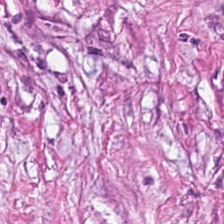0.5 microns per pixel · hematoxylin and eosin.
Desmoplastic stroma.
